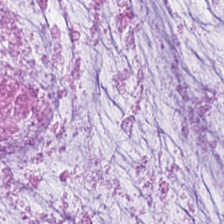Hematoxylin-and-eosin stained section.
Tissue type = mucus.
